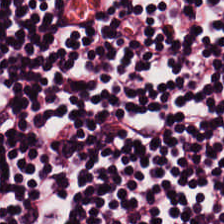224×224 px tile; 20× equivalent magnification; H&E-stained tissue section — Lymphocytic infiltrate.
